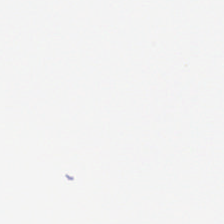H&E stain — {"content": "background (no tissue)"}
